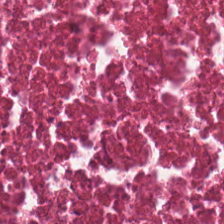H&E — Tissue type — necrotic debris.
